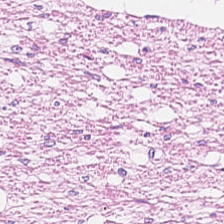224×224 px tile; hematoxylin-and-eosin stained section.
The tissue is smooth muscle.
